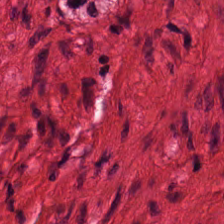Smooth-muscle tissue.
